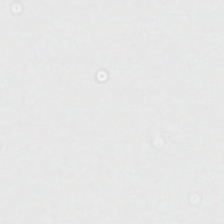H&E · 224×224 px tile. Background (no tissue).
